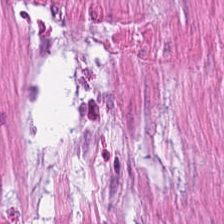20× equivalent magnification; H&E stain; whole-slide-image patch — Impression — muscularis.
